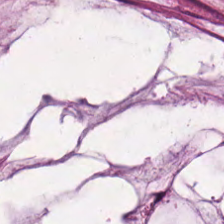Hematoxylin-and-eosin stained section.
Extracellular mucin.
